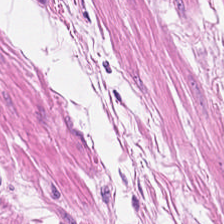H&E — Smooth-muscle tissue.
